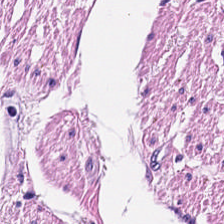Hematoxylin and eosin · 224×224 px patch. {"tissue_type": "smooth-muscle tissue"}
